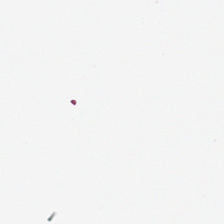H&E stain · 0.5 µm/px. Background.
